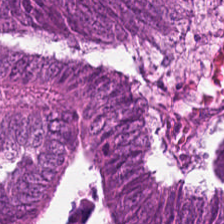FFPE. 0.5 µm per pixel. H&E. Q: What is shown here?
A: The field shows tumor epithelium.
